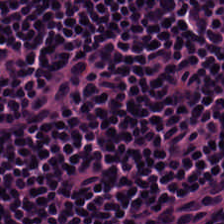H&E. WSI patch — {"tissue_type": "lymphocytes"}
